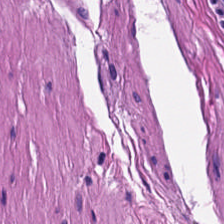Brightfield · H&E · 20× equivalent magnification — Q: What tissue is shown?
A: The field shows muscularis.
